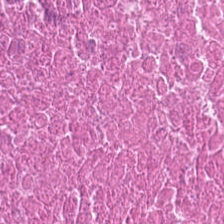H&E-stained tissue section. 0.5 microns per pixel — Q: Classify this patch.
A: It is necrotic debris.
